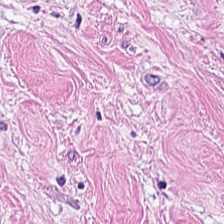Classification: tumor-associated stroma.
